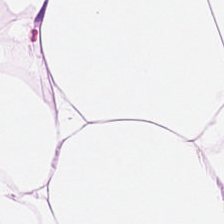The tissue type is adipocytes.
